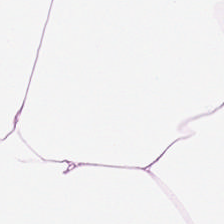{"tissue_type": "adipose"}
